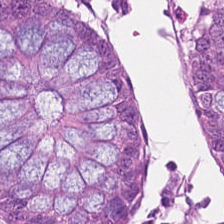Stain: H&E.
Tissue class: normal colonic mucosa.
